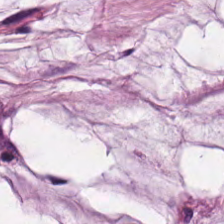Hematoxylin-and-eosin stained section · brightfield microscopy · 0.5 µm per pixel.
Predominantly mucin.
